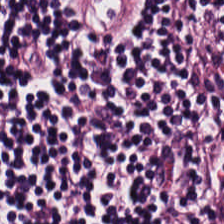H&E — lymphoid infiltrate.
